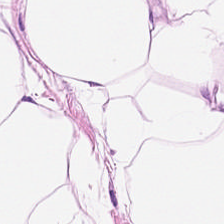224×224 px tile; hematoxylin and eosin. Adipose.
